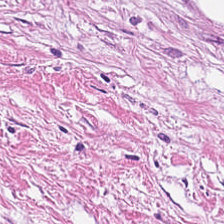Stain: hematoxylin-and-eosin stained section.
Predominant tissue: desmoplastic stroma.
